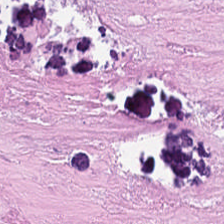Predominant tissue: necrotic debris.
